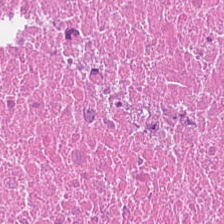224×224 px tile. Hematoxylin-and-eosin stained section.
Predominantly debris.
